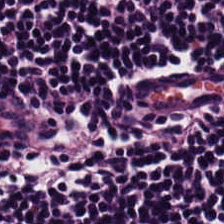H&E · brightfield microscopy.
Q: Classify this patch.
A: This is lymphoid infiltrate.
